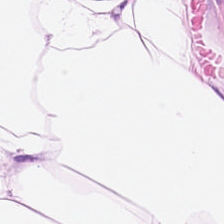H&E — Showing adipocytes.
